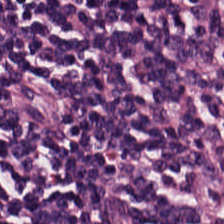Formalin-fixed paraffin-embedded section. H&E-stained tissue section. Whole-slide-image patch — The tissue class is lymphocyte aggregate.
